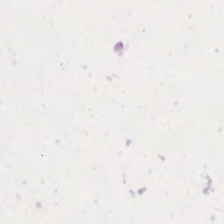Stain: H&E.
Acquisition: whole-slide-image patch.
Field content: no tissue.
